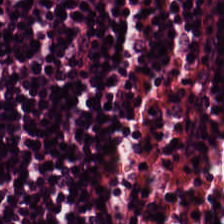Hematoxylin and eosin.
Q: What tissue type is shown here?
A: It is lymphocytic infiltrate.
